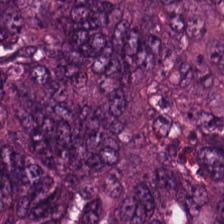0.5 µm per pixel; hematoxylin-and-eosin stained section.
Tissue type: malignant epithelium.
